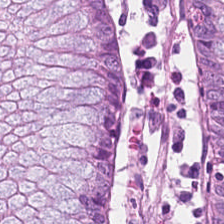{"tissue_type": "normal colonic mucosa"}
